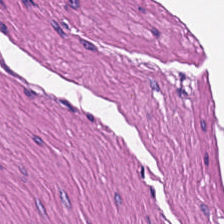H&E-stained tissue section.
Tissue class — smooth-muscle tissue.
